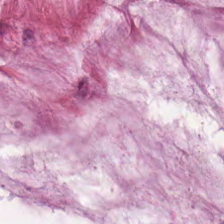Hematoxylin and eosin; 224×224 px patch; 20× equivalent magnification. The tissue here is mucin.
